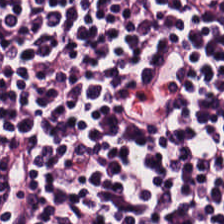FFPE tissue section. 0.5 µm per pixel. Hematoxylin and eosin.
Q: What does this patch show?
A: The field shows lymphocytic infiltrate.
